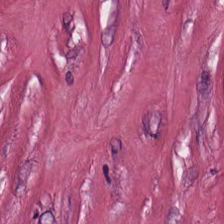H&E-stained tissue section; FFPE tissue section; WSI patch — Q: What is the predominant tissue type?
A: This is cancer-associated stroma.
